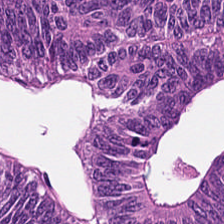Stain: H&E-stained tissue section.
Tissue type: colorectal adenocarcinoma.
